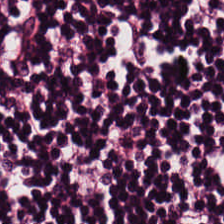224×224 px tile. H&E — Tissue type = lymphocyte aggregate.
